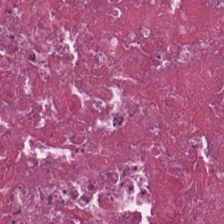224×224 px tile. H&E.
Predominantly debris.
